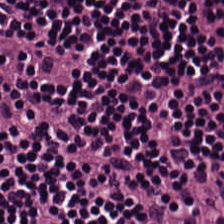H&E-stained tissue section; 224×224 pixel tile; brightfield microscopy.
Classification = lymphocyte aggregate.
